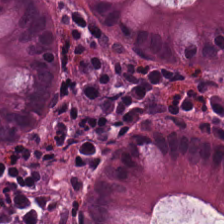Tissue — normal colon mucosa.
